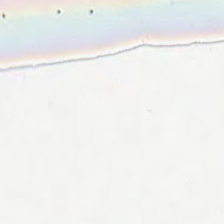Empty field — empty background.
